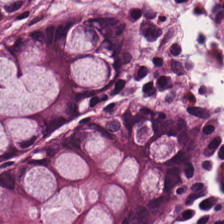Stain: H&E stain.
Tissue class: normal colonic mucosa.
